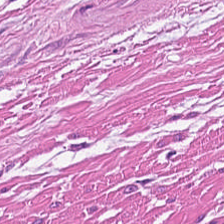Showing muscularis.
